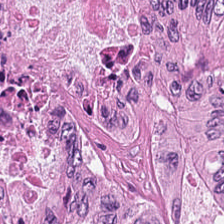0.5 µm per pixel · H&E stain.
This patch shows colorectal adenocarcinoma.
